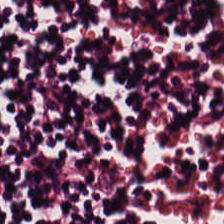Hematoxylin and eosin · brightfield — Impression — lymphocytic infiltrate.
